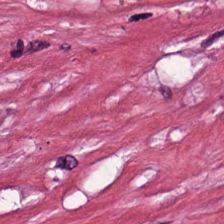FFPE tissue section · WSI patch · H&E stain — The tissue here is tumor-associated stroma.
